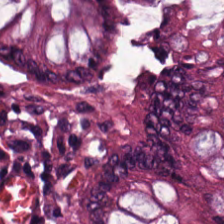0.5 microns per pixel. Whole-slide-image patch. H&E-stained tissue section.
Classification: non-neoplastic colon mucosa.
